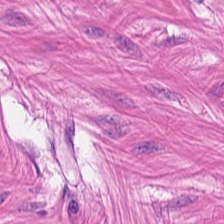H&E stain · 0.5 microns per pixel · 224×224 px patch. Q: What is shown in this field?
A: It is smooth muscle.
